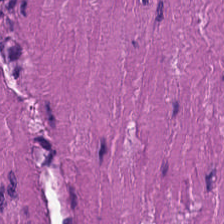H&E-stained tissue section.
Q: What is shown in this field?
A: This is smooth muscle.
